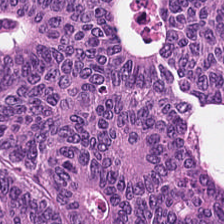H&E-stained tissue section.
Q: What is the predominant tissue type?
A: Tumor epithelium.
